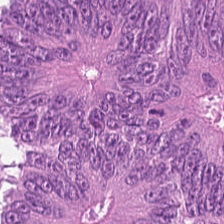H&E stain — Q: What is shown here?
A: It is colorectal adenocarcinoma.
